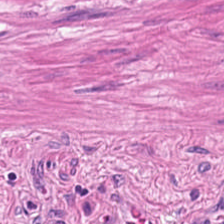H&E stain — Tissue class = muscularis.
